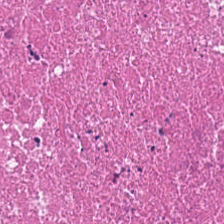H&E · 0.5 microns per pixel · 224×224 px tile.
The tissue class is debris.
